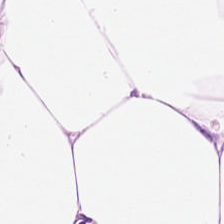H&E stain — Q: What is shown here?
A: It is adipose tissue.
